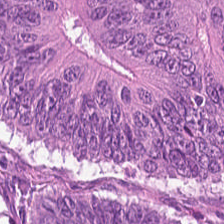224×224 pixel tile · H&E.
The tissue class is malignant epithelium.
